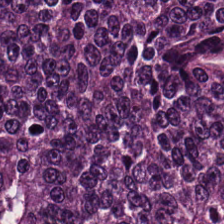Hematoxylin and eosin.
Predominant tissue — colorectal adenocarcinoma epithelium.
